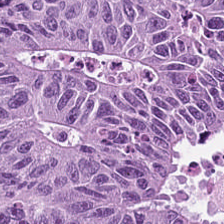H&E-stained tissue section.
Impression → tumor epithelium.
